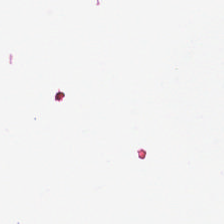Stain: hematoxylin-and-eosin stained section.
Field content: no tissue.
